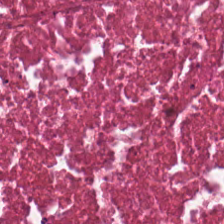Stain: H&E.
Predominant tissue: necrotic debris.
